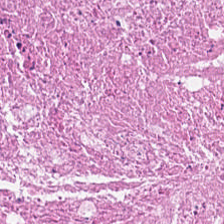Formalin-fixed paraffin-embedded section · 224×224 px tile · H&E stain — The predominant tissue is necrotic debris.
